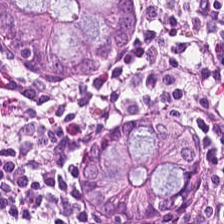H&E. The tissue type is normal colonic mucosa.
